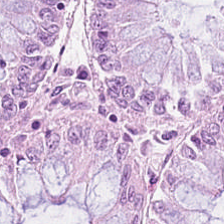Stain: H&E-stained tissue section.
Tissue: normal colonic mucosa.
